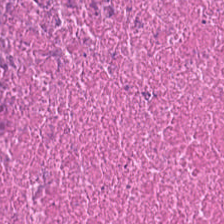Hematoxylin and eosin; formalin-fixed paraffin-embedded section.
Classification = cellular debris.
